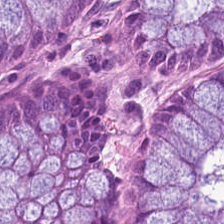Stain: hematoxylin-and-eosin stained section.
Resolution: 20× equivalent magnification.
Tissue type: non-neoplastic colon mucosa.
